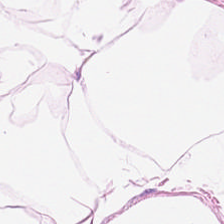Finding → adipose tissue.
